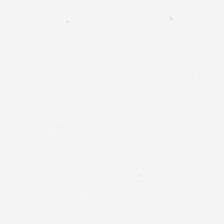224×224 px patch; 20× equivalent magnification; H&E-stained tissue section. Impression — empty background.
